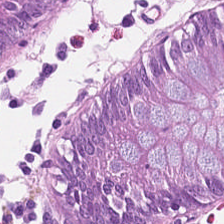H&E.
Q: What is the predominant tissue type?
A: This is normal colonic mucosa.
